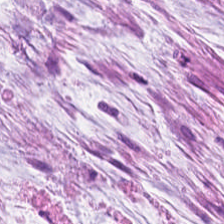H&E stain. Tissue class: mucin.
